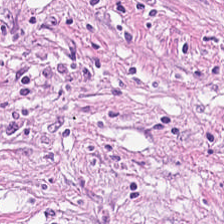H&E. WSI patch. This patch shows tumor stroma.
